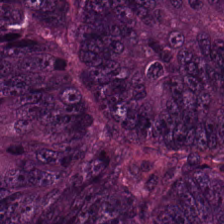Hematoxylin and eosin.
Predominantly colorectal adenocarcinoma epithelium.
